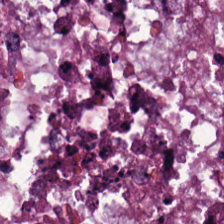H&E — Predominantly malignant epithelium.
